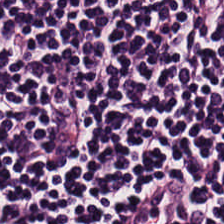Whole-slide-image patch; H&E-stained tissue section; 0.5 µm/px — The tissue here is lymphocytic infiltrate.
